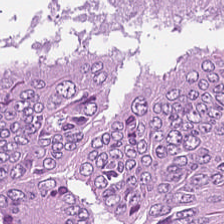224×224 px patch · FFPE · H&E.
Histology → adenocarcinoma.
